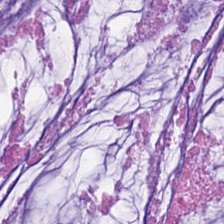Hematoxylin and eosin — Tissue class: extracellular mucin.
